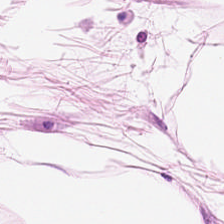{"tissue_type": "adipocytes"}
